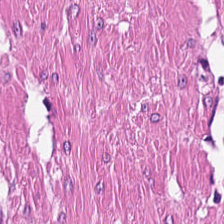Hematoxylin-and-eosin stained section — Muscularis.
